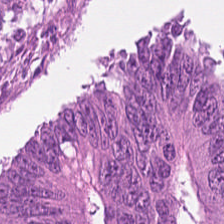H&E stain. Tumor epithelium.
